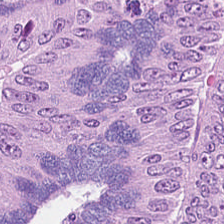20× equivalent magnification. H&E-stained tissue section. 224×224 pixel tile. The predominant tissue is adenocarcinoma.
